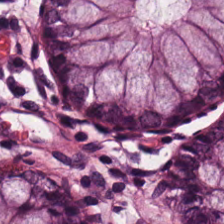The predominant tissue is benign colonic mucosa.
